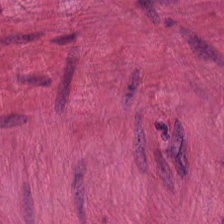Formalin-fixed paraffin-embedded section. Hematoxylin-and-eosin stained section. The predominant tissue is muscularis.
